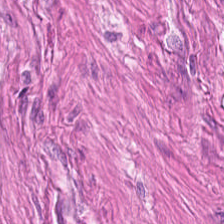Stain: hematoxylin and eosin.
Tissue: smooth-muscle tissue.
